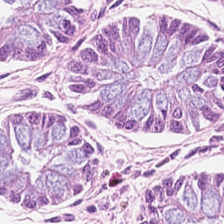Hematoxylin-and-eosin stained section; 0.5 µm per pixel — The predominant tissue is normal colonic mucosa.
